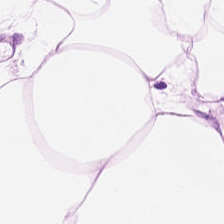0.5 microns per pixel · hematoxylin and eosin — The tissue here is adipose.
